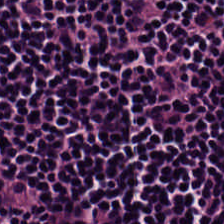0.5 µm per pixel · WSI patch · H&E-stained tissue section — Q: What tissue is shown?
A: The field shows lymphocytes.
